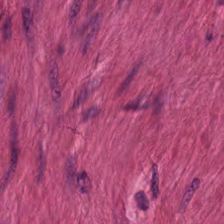Predominant tissue: muscularis.
